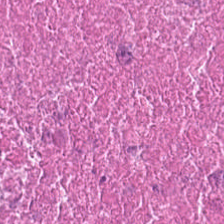Stain: H&E stain.
Tissue class: necrotic debris.
